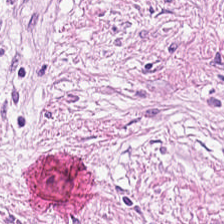FFPE · 224×224 pixel tile · H&E stain — The tissue is tumor-associated stroma.
